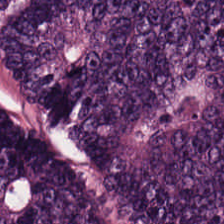H&E stain.
Finding → colorectal adenocarcinoma.
